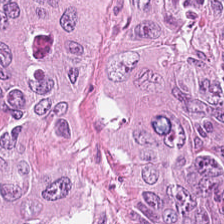Hematoxylin and eosin — Showing malignant epithelium.
